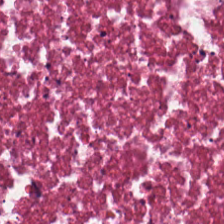224×224 pixel tile · H&E — {"tissue_type": "debris"}
